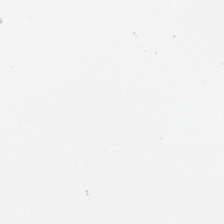Brightfield. Hematoxylin and eosin.
Empty field — empty background.
